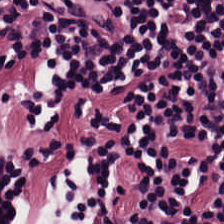224×224 pixel tile. Whole-slide-image patch. H&E-stained tissue section — The tissue class is lymphocytes.
